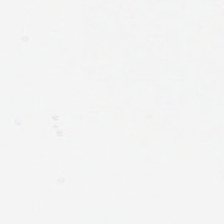Hematoxylin and eosin — Content = no tissue.
